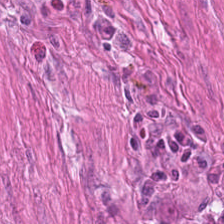H&E.
Tissue type: smooth-muscle tissue.
